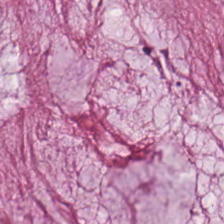Stain: hematoxylin-and-eosin stained section.
Predominant tissue: extracellular mucin.
